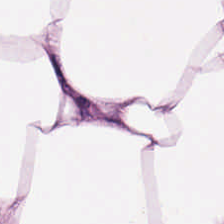Impression → adipose tissue.
